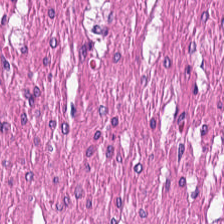H&E stain. 0.5 µm per pixel.
The tissue here is smooth muscle.
